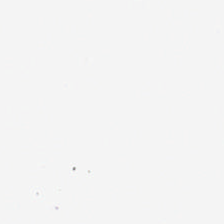Hematoxylin and eosin; brightfield microscopy. This field is background (no tissue).
